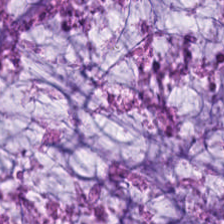H&E · brightfield microscopy · 0.5 µm/px — Q: What type of tissue is this?
A: Mucin.
